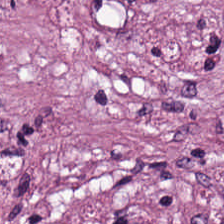H&E — Tissue — tumor-associated stroma.
